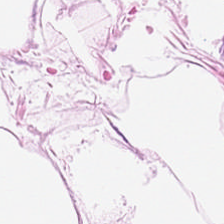Hematoxylin and eosin. The predominant tissue is fat tissue.
